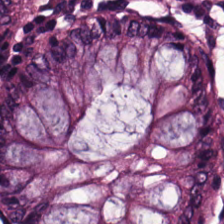Stain: H&E stain.
Tissue class: non-neoplastic colon mucosa.
